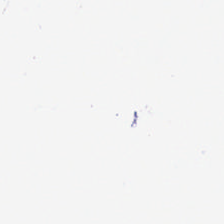H&E; 0.5 µm per pixel — This patch shows empty background.
